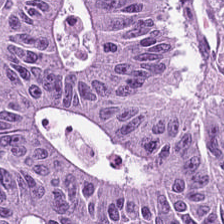H&E; 224×224 px patch.
{"tissue_type": "colorectal adenocarcinoma epithelium"}
